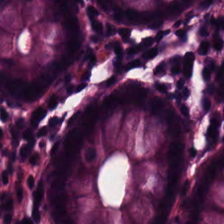Hematoxylin and eosin — The tissue here is normal colon mucosa.
